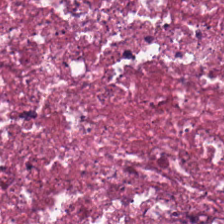Q: What tissue is shown?
A: Debris.
